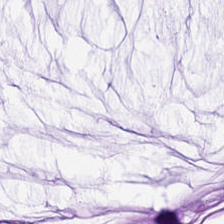Stain: hematoxylin-and-eosin stained section.
Tissue type: extracellular mucin.
